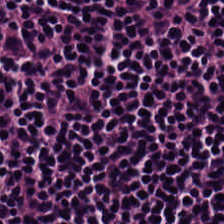Formalin-fixed paraffin-embedded section. Hematoxylin-and-eosin stained section. Lymphocytic infiltrate.
